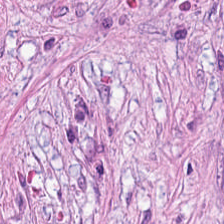Finding — tumor-associated stroma.
